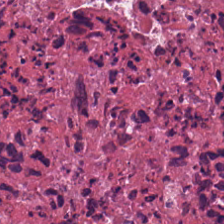224×224 px tile. H&E. WSI patch — Finding → necrotic debris.
